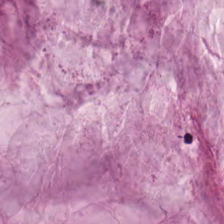H&E. Formalin-fixed paraffin-embedded section. 0.5 µm/px — Q: What type of tissue is this?
A: This is mucus.
